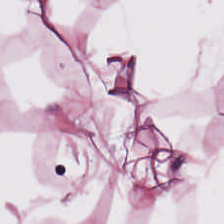The tissue here is adipocytes.
